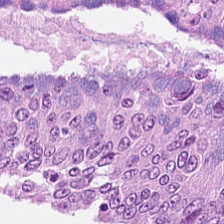Hematoxylin and eosin — Tissue: colorectal adenocarcinoma.
